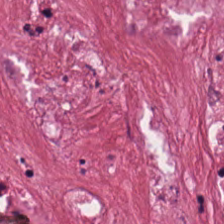H&E — tumor stroma.
